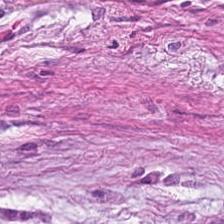H&E-stained tissue section. Q: What is shown here?
A: Tumor-associated stroma.
